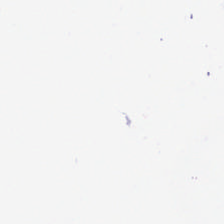224×224 pixel tile · hematoxylin-and-eosin stained section.
The field content is empty background.
